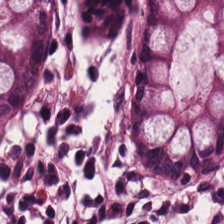Hematoxylin-and-eosin stained section.
Q: Classify this patch.
A: The field shows non-neoplastic colon mucosa.
